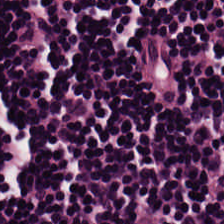Stain: hematoxylin-and-eosin stained section.
Classification: lymphocyte aggregate.
